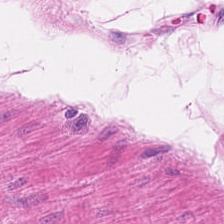This field is smooth muscle.
